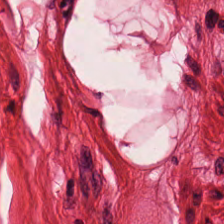H&E; WSI patch. Tissue type = smooth-muscle tissue.
